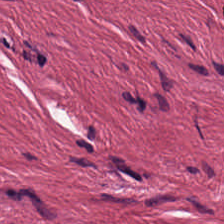Hematoxylin-and-eosin stained section.
Tissue: tumor stroma.
